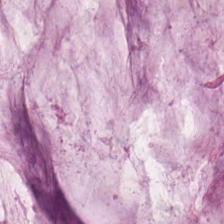Stain: hematoxylin and eosin.
Acquisition: brightfield microscopy.
Tile size: 224×224 px tile.
Tissue: mucus.
